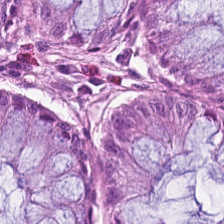Predominant tissue — non-neoplastic colon mucosa.
